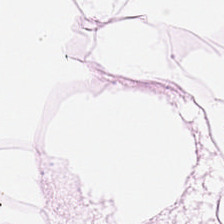H&E. Impression → adipocytes.
